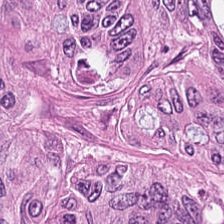Stain: H&E.
Predominant tissue: tumor epithelium.
